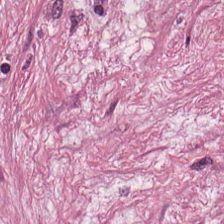FFPE tissue section. Hematoxylin-and-eosin stained section. 20× equivalent magnification.
{"tissue_type": "tumor stroma"}
